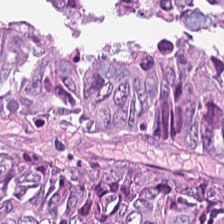Tissue — tumor epithelium.
